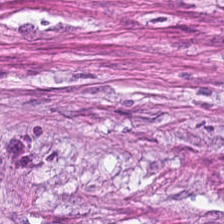{"tissue_type": "cancer-associated stroma"}
